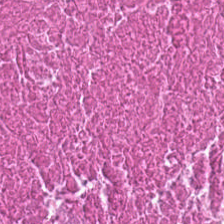H&E-stained tissue section.
The predominant tissue is cellular debris.
